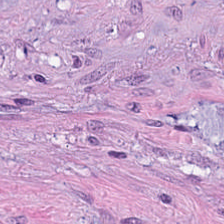Histology — tumor stroma.
